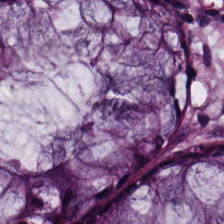Hematoxylin-and-eosin stained section. Predominantly normal colon mucosa.
